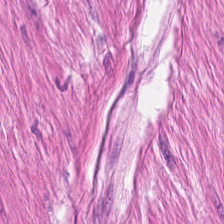H&E stain — The predominant tissue is smooth muscle.
